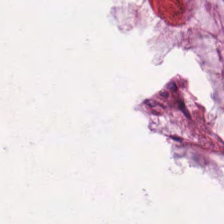Hematoxylin and eosin; FFPE.
Showing mucus.
